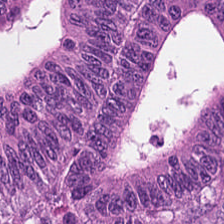Stain: H&E stain.
Resolution: 20× equivalent magnification.
Preparation: FFPE tissue section.
Predominant tissue: colorectal adenocarcinoma epithelium.
